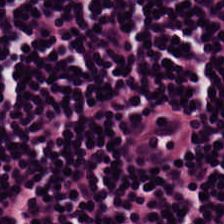Histology → lymphocytes.
